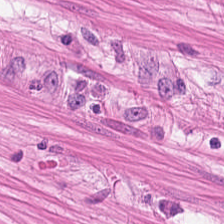Finding — smooth-muscle tissue.
